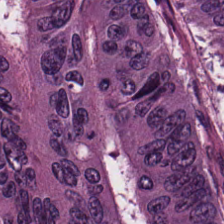Hematoxylin and eosin.
Q: What is shown here?
A: It is malignant epithelium.
